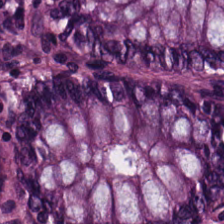H&E-stained tissue section. {"tissue_type": "normal colon mucosa"}
